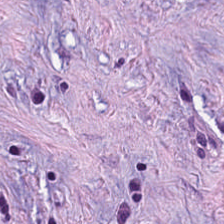224×224 pixel tile · hematoxylin and eosin · 0.5 µm/px. This field is cancer-associated stroma.
